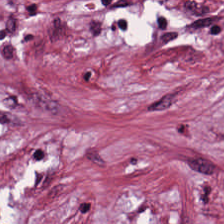Hematoxylin and eosin. Predominantly tumor stroma.
